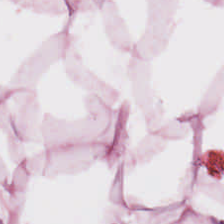FFPE · H&E stain.
Q: What is shown here?
A: The field shows adipocytes.
